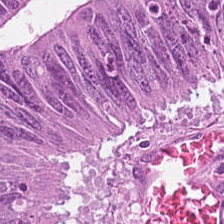Predominantly colorectal adenocarcinoma.
